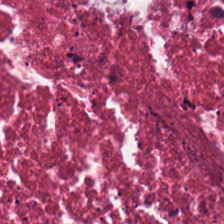224×224 px tile. H&E-stained tissue section. Whole-slide-image patch — Q: What tissue type is shown here?
A: This is cellular debris.
